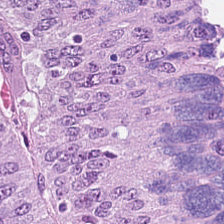Hematoxylin and eosin.
Q: What is the predominant tissue type?
A: It is colorectal adenocarcinoma.
